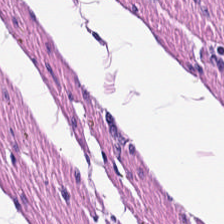H&E stain — Finding → smooth-muscle tissue.
